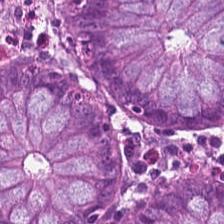H&E-stained tissue section — Predominant tissue = normal colon mucosa.
